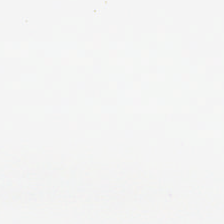H&E-stained tissue section. No tissue present; background only.
